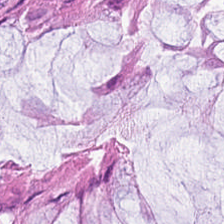Histology — normal colonic mucosa.
